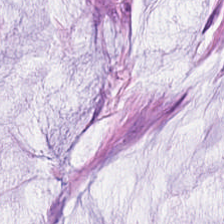H&E · 20× equivalent magnification. The tissue is extracellular mucin.
